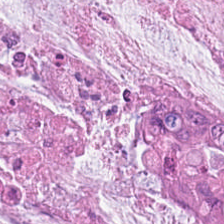H&E-stained section; the field shows extracellular mucin.
